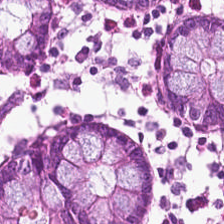224×224 px tile · hematoxylin-and-eosin stained section.
Q: What is shown here?
A: Benign colonic mucosa.
